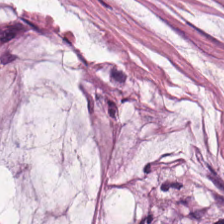Stain: H&E.
Classification: mucin.
